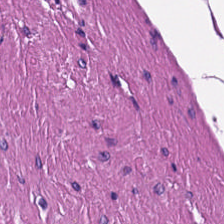Hematoxylin-and-eosin stained section; 0.5 microns per pixel; WSI patch. This field is smooth-muscle tissue.
